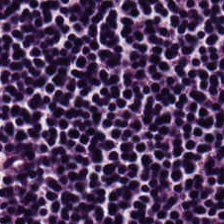H&E. 0.5 µm per pixel. This patch shows lymphocyte aggregate.
